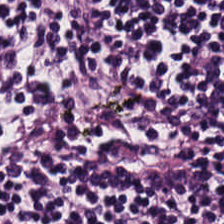H&E stain; 0.5 µm per pixel — The tissue here is lymphocytic infiltrate.
